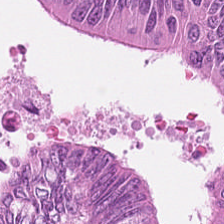H&E stain.
Showing colorectal adenocarcinoma.
